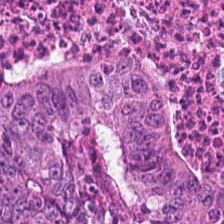H&E stain. Brightfield. Q: What is the predominant tissue type?
A: Colorectal adenocarcinoma.
